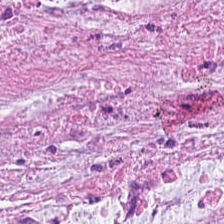0.5 microns per pixel. Hematoxylin and eosin.
Histology → mucin.
